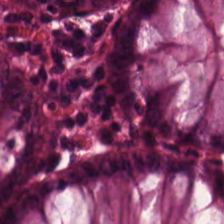Predominant tissue = benign colonic mucosa.
